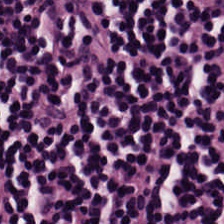H&E — lymphoid infiltrate.
